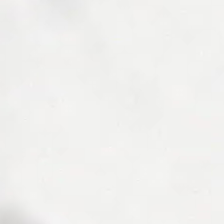H&E-stained tissue section — Field content — empty background.
